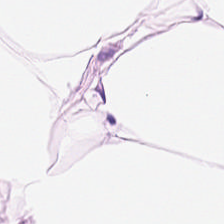H&E stain — Impression → adipocytes.
